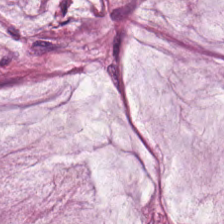H&E · 20× equivalent magnification — This field is mucin.
